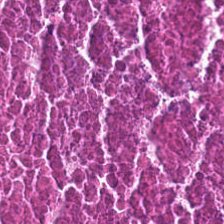Q: Identify the tissue.
A: This is necrotic debris.
